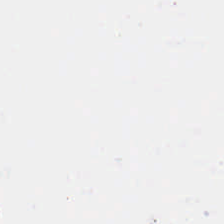Background (no tissue).
